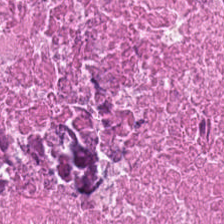Hematoxylin and eosin. WSI patch.
This patch shows cellular debris.
